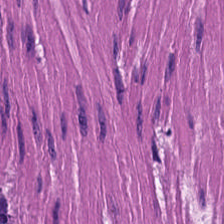Stain: H&E stain.
Tissue: muscularis.
